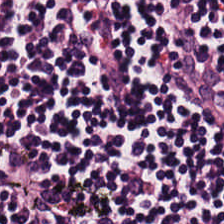Showing lymphoid infiltrate.
